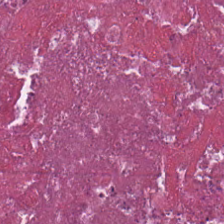H&E stain.
Tissue — necrotic debris.
